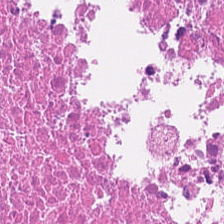Brightfield. H&E. FFPE. Tissue type = necrotic debris.
